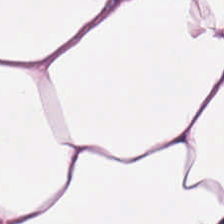Hematoxylin and eosin.
Q: What does this patch show?
A: It is fat tissue.
